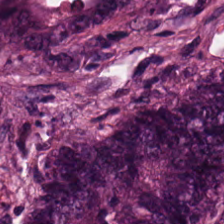This field is malignant epithelium.
